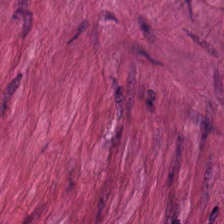Tissue class: smooth-muscle tissue.
